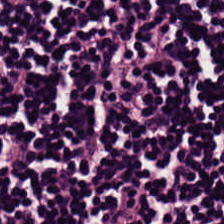Hematoxylin and eosin. Tissue type = lymphocytic infiltrate.
